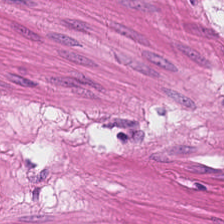The classification is smooth muscle.
